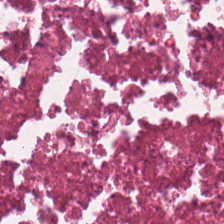Stain: hematoxylin-and-eosin stained section.
Tissue: debris.
